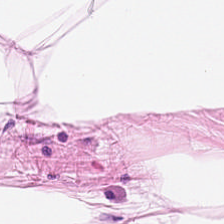Stain: H&E stain.
Preparation: FFPE tissue section.
Classification: adipose tissue.
